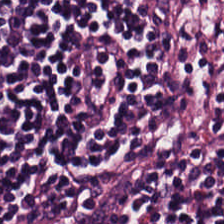H&E stain.
Showing lymphocytic infiltrate.
